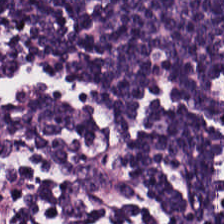224×224 pixel tile · hematoxylin-and-eosin stained section — Q: What tissue type is shown here?
A: This is lymphocytes.
